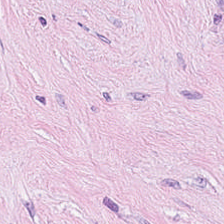224×224 px tile. H&E-stained tissue section.
Q: What is the predominant tissue type?
A: It is tumor stroma.
